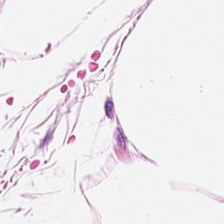Q: What tissue is shown?
A: The field shows fat tissue.
